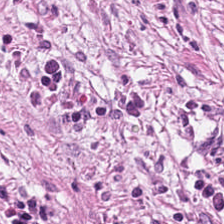FFPE. H&E stain. {"tissue_type": "desmoplastic stroma"}
